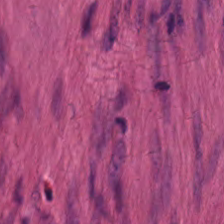Stain: H&E-stained tissue section.
Tissue: muscularis.
